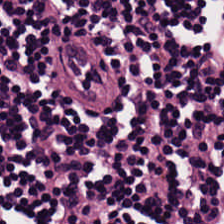Finding — lymphocytic infiltrate.
